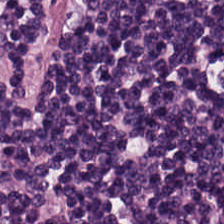H&E. Impression → lymphoid infiltrate.
